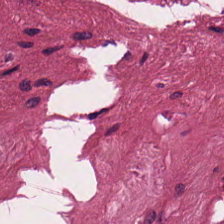Desmoplastic stroma.
